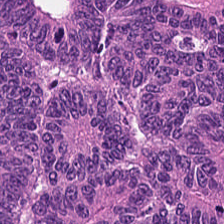H&E stain.
{"tissue_type": "tumor epithelium"}
